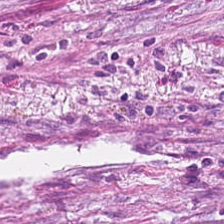Stain: H&E stain.
Tissue: desmoplastic stroma.
